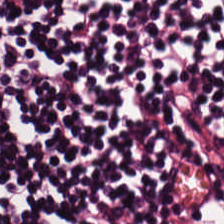FFPE. H&E-stained tissue section. 224×224 px tile — The tissue is lymphocyte aggregate.
